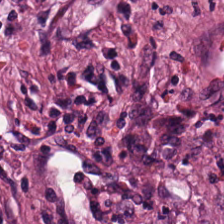0.5 µm per pixel · H&E · 224×224 px tile.
Tissue class: desmoplastic stroma.
